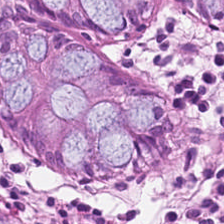H&E-stained tissue section. Showing non-neoplastic colon mucosa.
